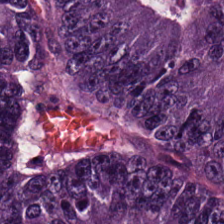Hematoxylin and eosin.
Tissue = malignant epithelium.
